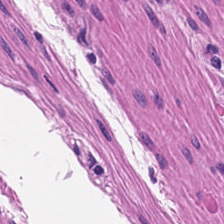{"tissue_type": "smooth-muscle tissue"}
